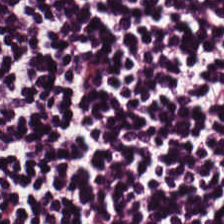Stain: H&E-stained tissue section.
Tissue type: lymphoid infiltrate.
